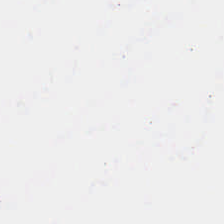H&E stain. Brightfield microscopy. FFPE tissue section — Classification: background (no tissue).
